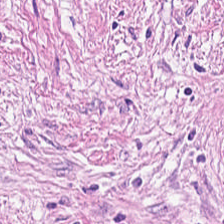Hematoxylin and eosin — Desmoplastic stroma.
